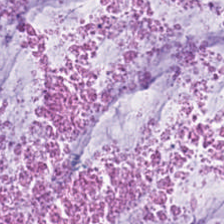20× equivalent magnification. Hematoxylin and eosin — The predominant tissue is mucus.
